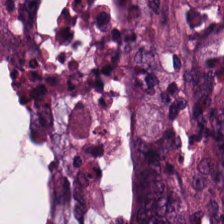224×224 pixel tile. H&E. Q: What is shown here?
A: It is adenocarcinoma.
